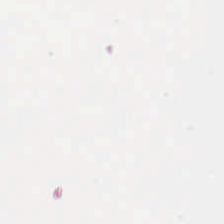{"content": "empty background"}
